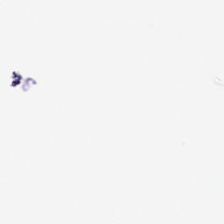H&E-stained tissue section.
Content — no tissue.
